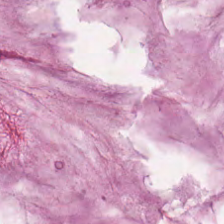The tissue type is mucus.
